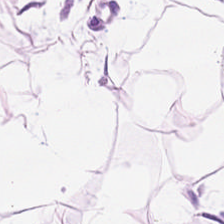{"tissue_type": "adipocytes"}
